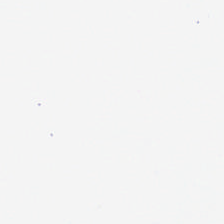Hematoxylin and eosin · brightfield microscopy · FFPE. Impression → background.
